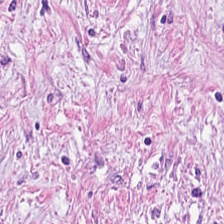FFPE; H&E; 224×224 px tile. Q: What is shown here?
A: This is tumor-associated stroma.
